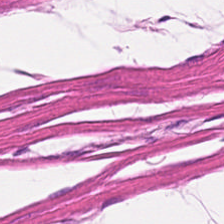H&E stain; FFPE tissue section; 224×224 px patch — Tissue type: muscularis.
